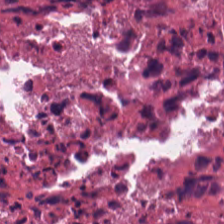0.5 µm per pixel. H&E — This field is cellular debris.
